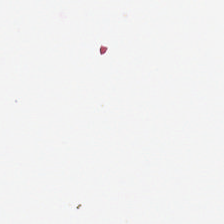Formalin-fixed paraffin-embedded section. H&E stain — No tissue present; background only.
